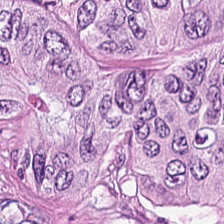Hematoxylin-and-eosin stained section — Showing colorectal adenocarcinoma.
